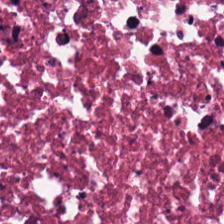Tissue class — cellular debris.
